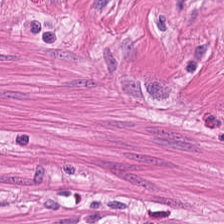H&E stain · FFPE tissue section. Histology — muscularis.
